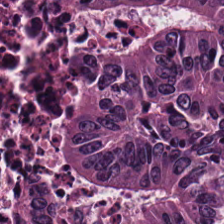FFPE tissue section; 224×224 px tile; hematoxylin and eosin.
{"tissue_type": "colorectal adenocarcinoma"}
